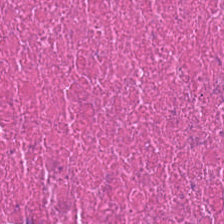H&E stain. FFPE tissue section.
Predominantly necrotic debris.
